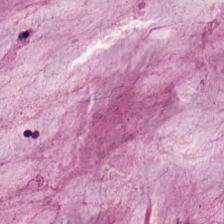H&E stain · FFPE — Classification — mucin.
